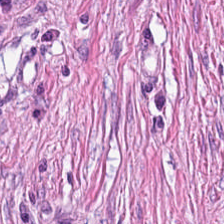Hematoxylin and eosin; 0.5 µm per pixel. The tissue here is tumor stroma.
